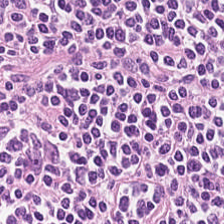224×224 px tile · 20× equivalent magnification · H&E stain — Q: Identify the tissue.
A: Lymphocytic infiltrate.
